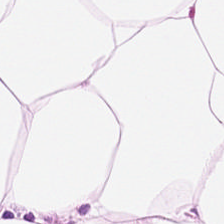H&E-stained tissue section.
Q: Classify this patch.
A: It is adipose tissue.
